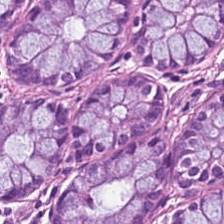H&E-stained tissue section. 224×224 px tile. 0.5 microns per pixel.
Impression → normal colonic mucosa.
